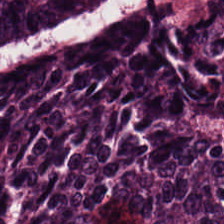Hematoxylin-and-eosin stained section · formalin-fixed paraffin-embedded section — Tissue type = tumor epithelium.
